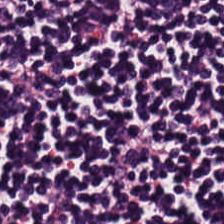224×224 px patch · FFPE · hematoxylin-and-eosin stained section. Finding — lymphoid infiltrate.
